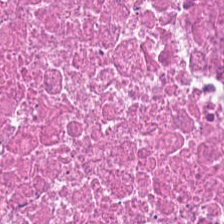H&E-stained tissue section. FFPE tissue section.
Predominantly cellular debris.
